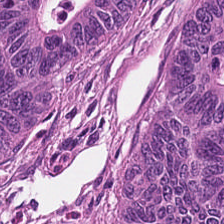Hematoxylin and eosin · whole-slide-image patch.
Q: What tissue type is shown here?
A: It is adenocarcinoma.
